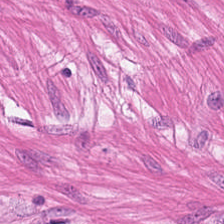Brightfield microscopy · H&E-stained tissue section · formalin-fixed paraffin-embedded section. Q: What does this patch show?
A: It is smooth muscle.
